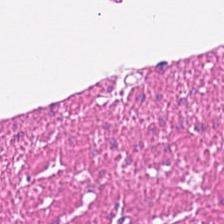224×224 px patch. Hematoxylin and eosin.
Smooth muscle.
